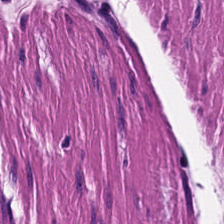Hematoxylin-and-eosin stained section; 0.5 microns per pixel — {"tissue_type": "smooth-muscle tissue"}
